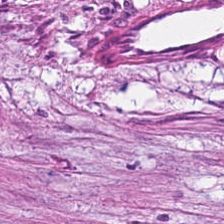Hematoxylin-and-eosin stained section; WSI patch.
The tissue here is tumor stroma.
